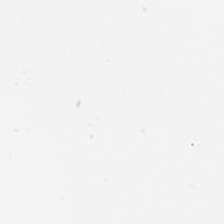Content = no tissue.
